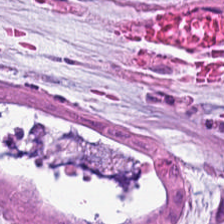Predominant tissue — mucus.
